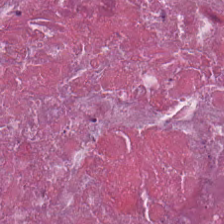Brightfield microscopy · hematoxylin-and-eosin stained section.
The predominant tissue is necrotic debris.
